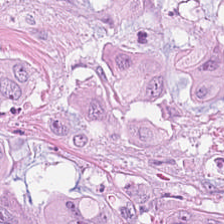Whole-slide-image patch · H&E-stained tissue section · 224×224 px patch. Q: What does this patch show?
A: It is colorectal adenocarcinoma epithelium.
